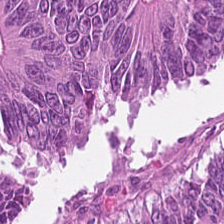Whole-slide-image patch. FFPE tissue section. H&E stain. The predominant tissue is colorectal adenocarcinoma.
